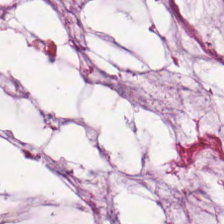Tissue class: mucus.
